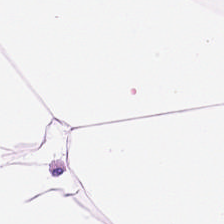Hematoxylin and eosin — Q: Identify the tissue.
A: Adipose tissue.
